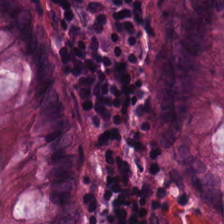Hematoxylin-and-eosin stained section.
Q: What tissue is shown?
A: This is non-neoplastic colon mucosa.
